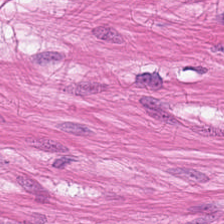Histology → smooth-muscle tissue.
